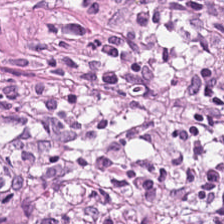Hematoxylin-and-eosin stained section; 224×224 px patch; whole-slide-image patch. Tissue = tumor stroma.
